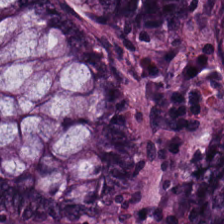Hematoxylin and eosin. The tissue is normal colonic mucosa.
